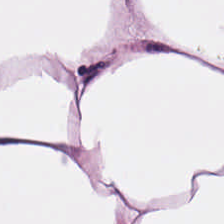Stain: hematoxylin and eosin.
Tile size: 224×224 px tile.
Resolution: 0.5 µm/px.
Tissue type: adipocytes.
